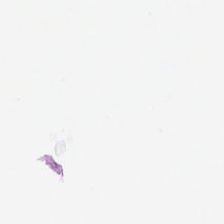Background — no tissue in this field.
